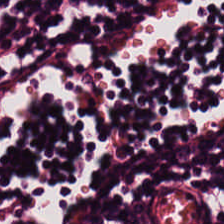Stain: H&E stain.
Tissue class: lymphocytes.
